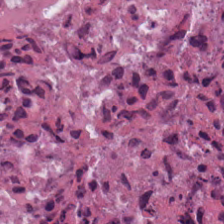Stain: H&E-stained tissue section.
Predominant tissue: cellular debris.
